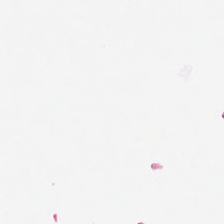The classification is background (no tissue).
